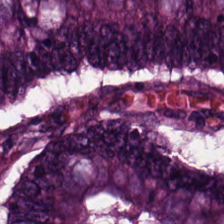H&E stain · FFPE tissue section.
Predominant tissue = tumor epithelium.
